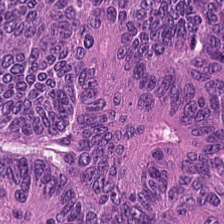Stain: H&E stain.
Tissue type: tumor epithelium.
